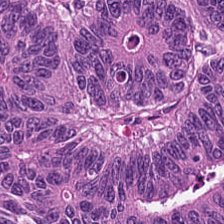This field is adenocarcinoma.
